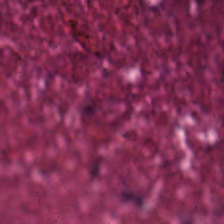H&E. Q: Identify the tissue.
A: Cellular debris.
